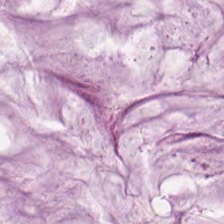H&E stain — Predominant tissue: extracellular mucin.
